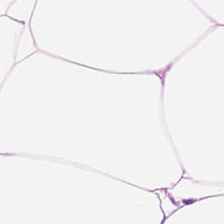0.5 µm/px · H&E — Histology → adipose.
